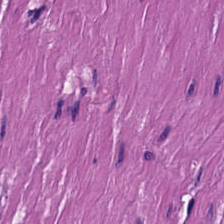This field is smooth muscle.
